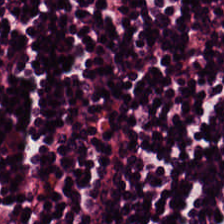Lymphocyte aggregate.
